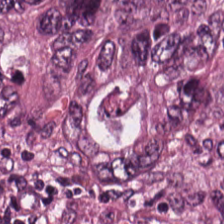H&E-stained section; the field shows tumor epithelium.
